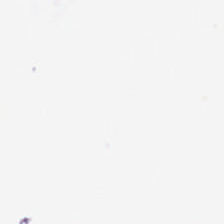Whole-slide-image patch. Hematoxylin-and-eosin stained section. 224×224 px tile. Background — no tissue in this field.
